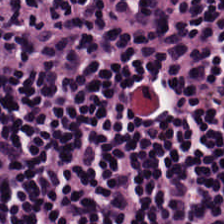Finding — lymphocytic infiltrate.
